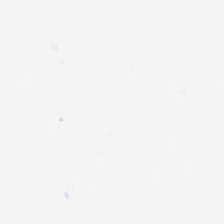H&E stain. No tissue present; background only.
